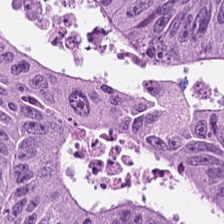WSI patch; H&E-stained tissue section.
Q: What does this patch show?
A: It is adenocarcinoma.
